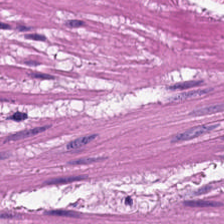H&E-stained tissue section. Smooth-muscle tissue.
